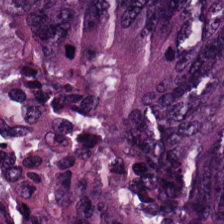Finding — adenocarcinoma.
